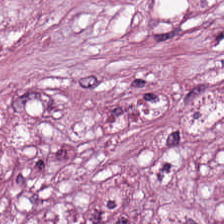Formalin-fixed paraffin-embedded section · 0.5 µm per pixel · hematoxylin and eosin.
This field is cancer-associated stroma.
